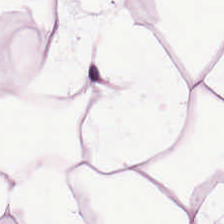Formalin-fixed paraffin-embedded section. Hematoxylin and eosin. Whole-slide-image patch. This field is adipocytes.
